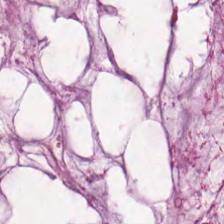Brightfield microscopy; hematoxylin and eosin.
Classification: mucin.
